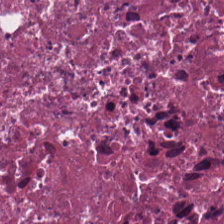{"tissue_type": "cellular debris"}
